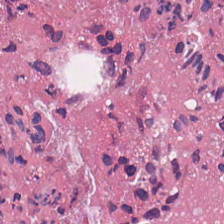Hematoxylin and eosin. Q: What tissue type is shown here?
A: This is cellular debris.
